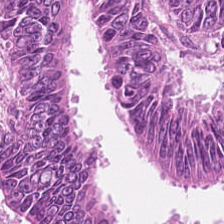Showing malignant epithelium.
